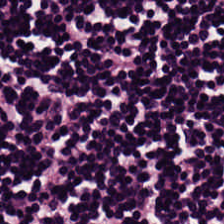Hematoxylin-and-eosin stained section.
Predominantly lymphocytes.
